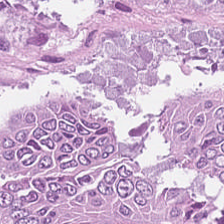Hematoxylin and eosin.
Q: What tissue is shown?
A: Adenocarcinoma.
